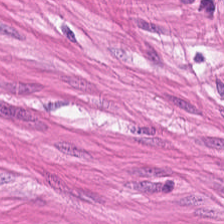224×224 px tile; H&E stain; whole-slide-image patch. This field is smooth-muscle tissue.
